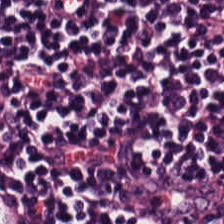0.5 µm per pixel; hematoxylin-and-eosin stained section — Q: What is shown here?
A: It is lymphocytes.
